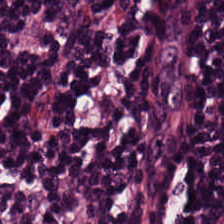Histology → lymphocyte aggregate.
